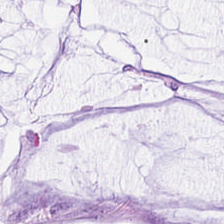Hematoxylin and eosin.
Classification: mucus.
